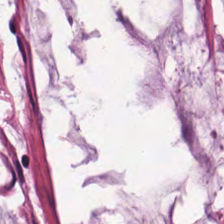H&E stain — Showing mucin.
